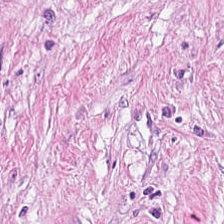Hematoxylin-and-eosin stained section. Whole-slide-image patch — Predominantly tumor stroma.
